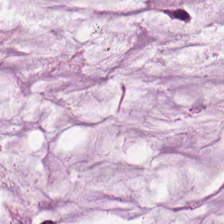The predominant tissue is extracellular mucin.
